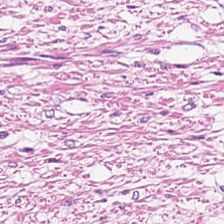Brightfield microscopy; hematoxylin-and-eosin stained section.
Impression → muscularis.
